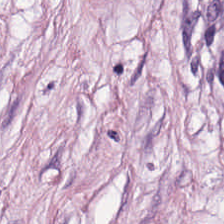H&E-stained tissue section showing desmoplastic stroma.
